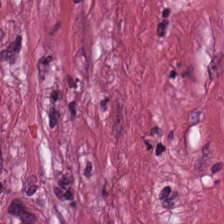224×224 px tile. Hematoxylin and eosin — Impression → desmoplastic stroma.
